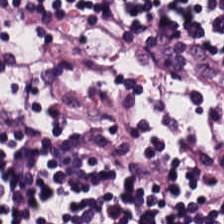Stain: H&E-stained tissue section.
Tissue: lymphocyte aggregate.
